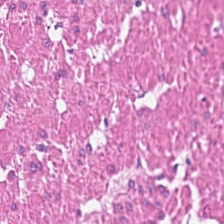H&E-stained tissue section — Q: What does this patch show?
A: The field shows muscularis.
